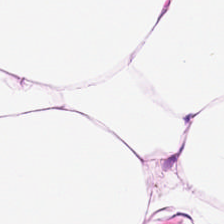Q: What is shown in this field?
A: The field shows adipose.
